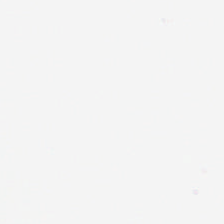H&E — No tissue present; background only.
